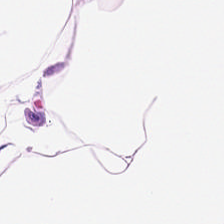H&E stain. Classification = adipose tissue.
